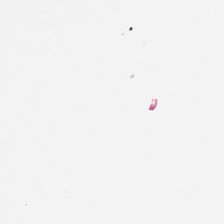Empty field — no tissue.
